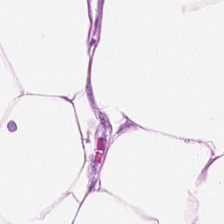Hematoxylin and eosin — Predominantly adipose.
